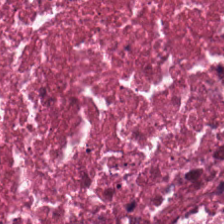The tissue here is debris.
